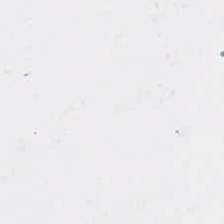H&E.
Histology — background.
